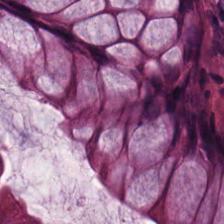Stain: hematoxylin and eosin.
Tissue type: non-neoplastic colon mucosa.
